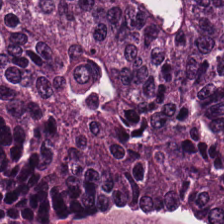H&E. Tissue type — tumor epithelium.
